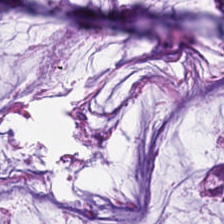Hematoxylin-and-eosin stained section. 0.5 µm per pixel. The tissue type is mucus.
